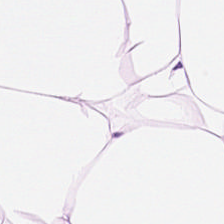H&E · FFPE tissue section · whole-slide-image patch — The predominant tissue is adipose.
